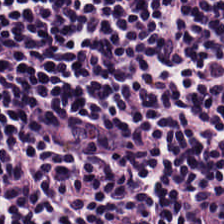FFPE tissue section. 20× equivalent magnification. H&E — Tissue = lymphocyte aggregate.
